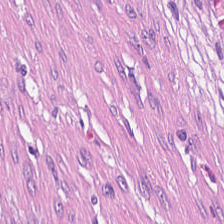H&E — Q: What does this patch show?
A: It is desmoplastic stroma.
